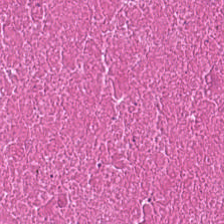Hematoxylin and eosin — Q: What does this patch show?
A: Cellular debris.
